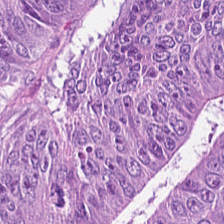Predominantly adenocarcinoma.
